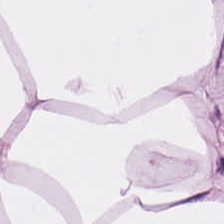Tissue = adipose.
